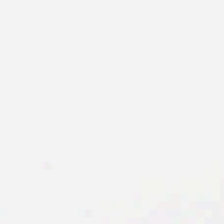Q: Classify this patch.
A: The field shows no tissue.
